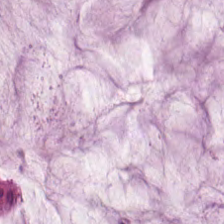Hematoxylin-and-eosin stained section. Formalin-fixed paraffin-embedded section — Predominantly extracellular mucin.
